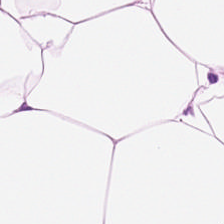Tissue = fat tissue.
